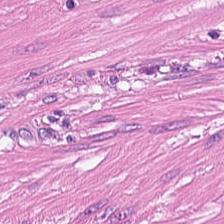H&E stain · WSI patch · FFPE — This field is smooth-muscle tissue.
